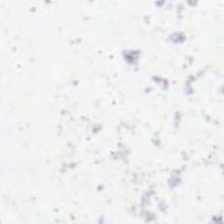Stain: H&E-stained tissue section.
Field content: background (no tissue).
